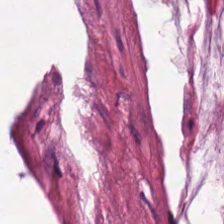H&E stain · 0.5 microns per pixel. Q: Classify this patch.
A: The field shows mucin.
